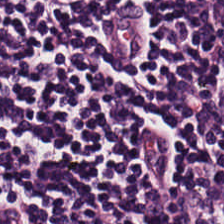The classification is lymphoid infiltrate.
